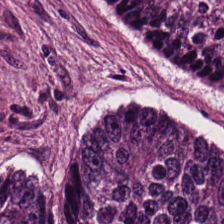H&E-stained tissue section — Tumor epithelium.
